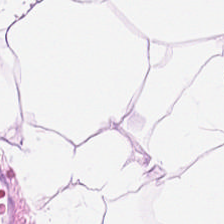Whole-slide-image patch · H&E-stained tissue section.
{"tissue_type": "adipose"}
